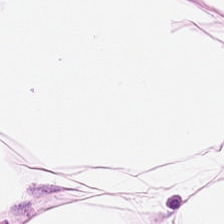H&E · FFPE.
Q: What tissue is shown?
A: The field shows adipose tissue.
